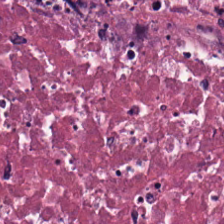H&E. 224×224 px patch. Brightfield microscopy. Classification — cellular debris.
